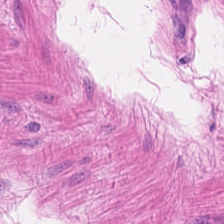This patch shows smooth-muscle tissue.
